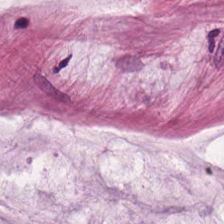The predominant tissue is extracellular mucin.
